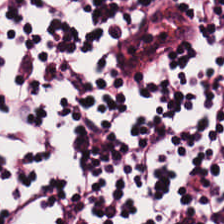Stain: hematoxylin and eosin.
Predominant tissue: lymphocytes.
